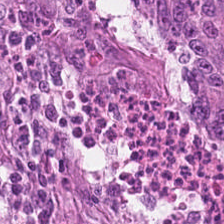H&E — Q: What tissue is shown?
A: Colorectal adenocarcinoma epithelium.
